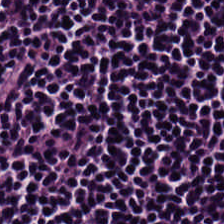224×224 pixel tile · hematoxylin-and-eosin stained section — The tissue here is lymphocyte aggregate.
